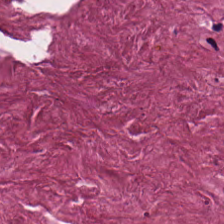H&E stain.
Tumor-associated stroma.
